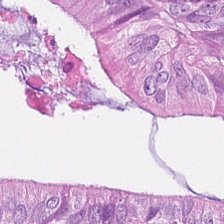Q: What type of tissue is this?
A: Adenocarcinoma.
